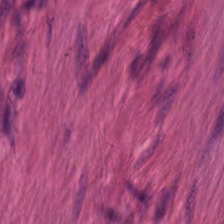H&E-stained tissue section — Predominant tissue = smooth-muscle tissue.
